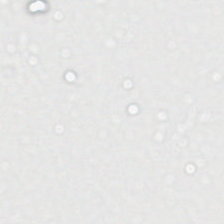Whole-slide-image patch; H&E. Content — no tissue.
